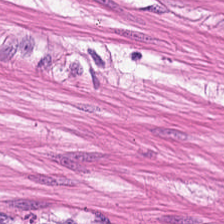H&E stain; 0.5 µm per pixel; brightfield. Predominantly smooth-muscle tissue.
